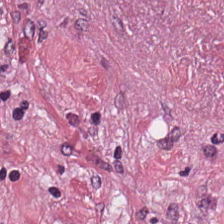Stain: hematoxylin and eosin.
Acquisition: brightfield.
Tissue: cancer-associated stroma.
